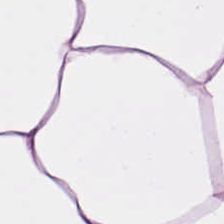20× equivalent magnification; H&E — Predominant tissue: adipose.
